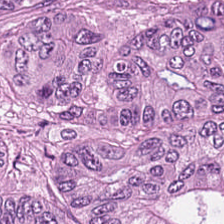Hematoxylin and eosin. FFPE. Histology — malignant epithelium.
